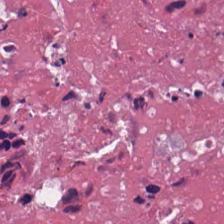Hematoxylin-and-eosin section: cellular debris.
